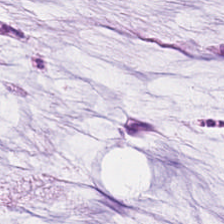Stain: hematoxylin-and-eosin stained section.
Acquisition: whole-slide-image patch.
Predominant tissue: mucus.
